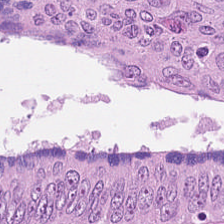Stain: H&E stain.
Classification: colorectal adenocarcinoma.
